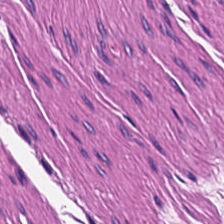FFPE tissue section; H&E-stained tissue section. The predominant tissue is smooth-muscle tissue.
